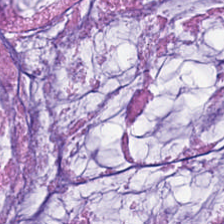H&E-stained tissue section.
Showing mucus.
